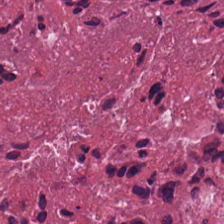Histology — debris.
